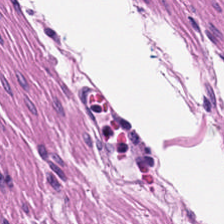Hematoxylin and eosin — This field is smooth-muscle tissue.
